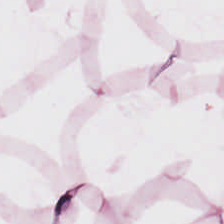Q: What tissue is shown?
A: The field shows adipose tissue.
